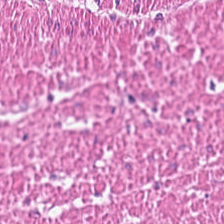224×224 px tile. Hematoxylin-and-eosin stained section. 0.5 µm per pixel.
Predominantly muscularis.
